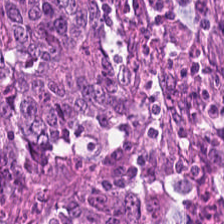H&E · 224×224 px tile · formalin-fixed paraffin-embedded section. Predominantly colorectal adenocarcinoma.
